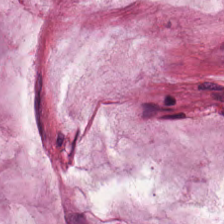H&E · 224×224 px patch.
Showing mucin.
